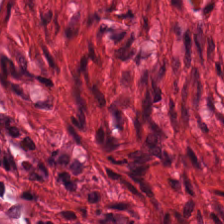Stain: hematoxylin and eosin.
Resolution: 0.5 µm per pixel.
Acquisition: brightfield.
Predominant tissue: muscularis.
